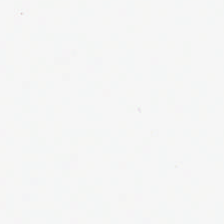H&E. 224×224 pixel tile — This patch shows background.
